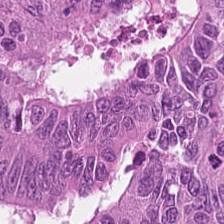H&E.
Predominantly tumor epithelium.
